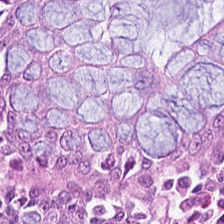Benign colonic mucosa.
